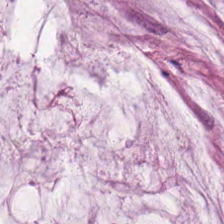Hematoxylin and eosin.
{"tissue_type": "extracellular mucin"}
